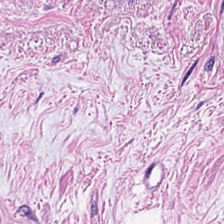Q: What is shown here?
A: It is smooth muscle.
